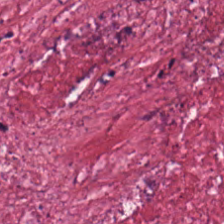H&E. Q: What is shown here?
A: It is desmoplastic stroma.
